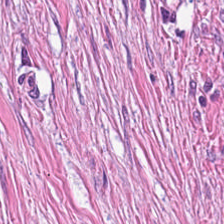H&E stain — The tissue here is tumor stroma.
